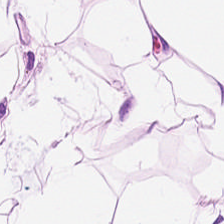FFPE tissue section · H&E. Adipose tissue.
